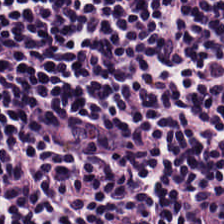224×224 pixel tile; H&E stain. Tissue type = lymphoid infiltrate.
